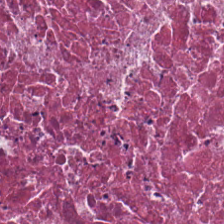Hematoxylin-and-eosin stained section · 224×224 pixel tile · brightfield.
Showing cellular debris.
